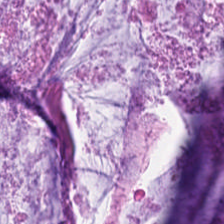Hematoxylin-and-eosin stained section; FFPE tissue section. The tissue here is mucin.
